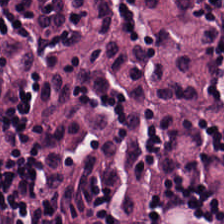Hematoxylin and eosin.
Predominant tissue: lymphoid infiltrate.
